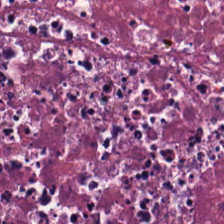H&E stain. Q: What is shown in this field?
A: Necrotic debris.
